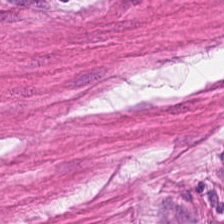H&E-stained tissue section — Q: What is shown here?
A: Smooth-muscle tissue.
